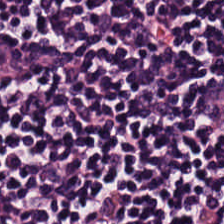H&E-stained section; the field shows lymphocyte aggregate.
